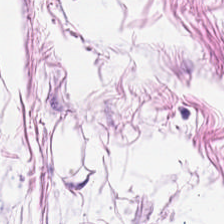Hematoxylin and eosin. Whole-slide-image patch. Finding — fat tissue.
